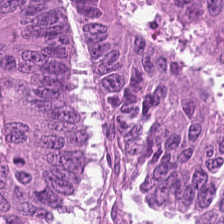H&E-stained tissue section — Showing colorectal adenocarcinoma.
